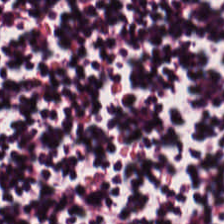H&E-stained tissue section.
Impression — lymphocytes.
